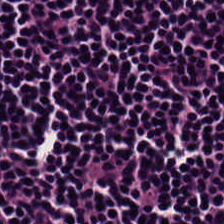Q: What type of tissue is this?
A: The field shows lymphocyte aggregate.
